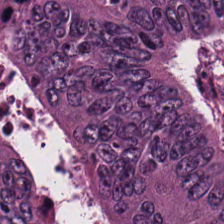224×224 px tile. H&E. Brightfield microscopy. Classification: adenocarcinoma.
